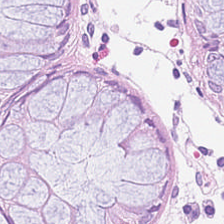{"tissue_type": "non-neoplastic colon mucosa"}
